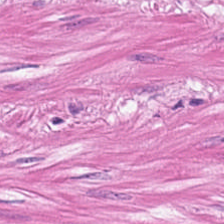The predominant tissue is smooth muscle.
